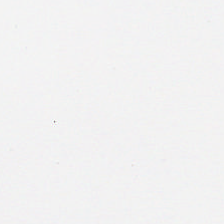Hematoxylin-and-eosin stained section. This patch shows background.
